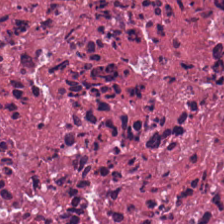H&E; 0.5 microns per pixel.
This patch shows necrotic debris.
